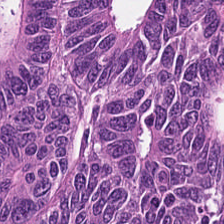WSI patch. H&E-stained tissue section.
The tissue class is tumor epithelium.
